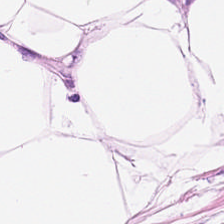H&E — adipocytes.
